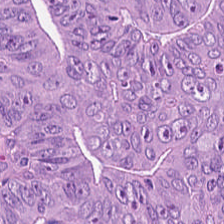{"tissue_type": "tumor epithelium"}
